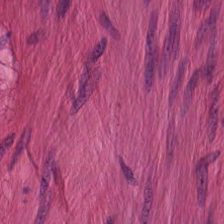Formalin-fixed paraffin-embedded section; hematoxylin-and-eosin stained section; 20× equivalent magnification.
Finding → smooth-muscle tissue.
